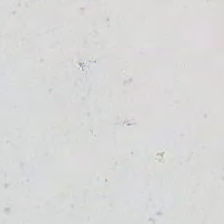Stain: H&E stain.
Preparation: formalin-fixed paraffin-embedded section.
Acquisition: whole-slide-image patch.
Field content: background.
